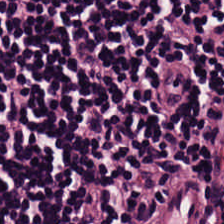Classification = lymphocytes.
